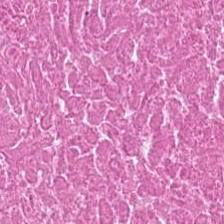H&E — Showing debris.
